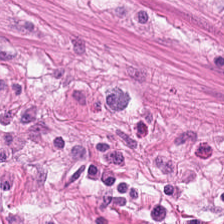Hematoxylin-and-eosin stained section.
Predominantly smooth-muscle tissue.
